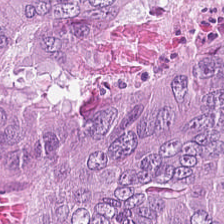224×224 px patch; FFPE tissue section; H&E stain.
Histology → malignant epithelium.
